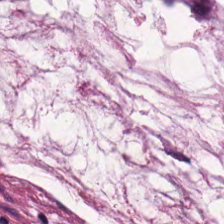H&E. Q: What tissue is shown?
A: Mucin.
